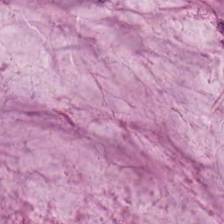The tissue is mucus.
